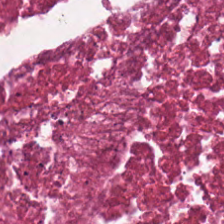Hematoxylin-and-eosin stained section; FFPE.
{"tissue_type": "debris"}
